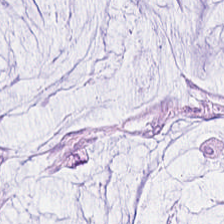0.5 µm per pixel; hematoxylin and eosin.
This patch shows mucus.
